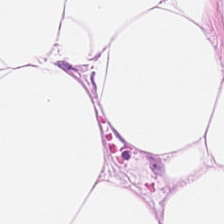H&E stain. 0.5 µm per pixel.
Tissue: fat tissue.
